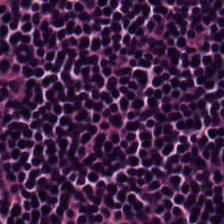Hematoxylin and eosin — Tissue type = lymphocytic infiltrate.
